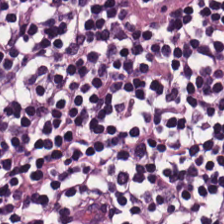The tissue class is lymphocyte aggregate.
